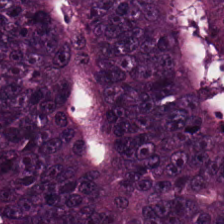Hematoxylin and eosin · 20× equivalent magnification · 224×224 px tile — Impression — adenocarcinoma.
